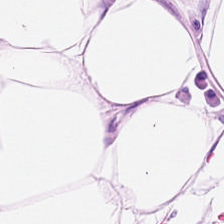H&E stain — Adipose tissue.
